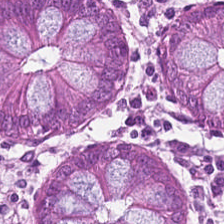Histology — benign colonic mucosa.
